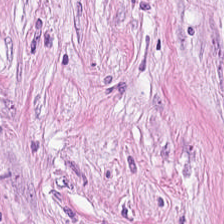Classification: tumor-associated stroma.
